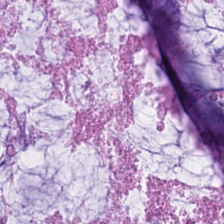Stain: H&E-stained tissue section.
Preparation: formalin-fixed paraffin-embedded section.
Tissue class: extracellular mucin.
